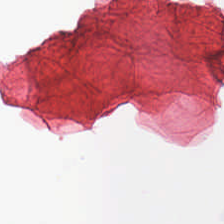FFPE; hematoxylin-and-eosin stained section; 224×224 pixel tile. Empty field — no tissue.
